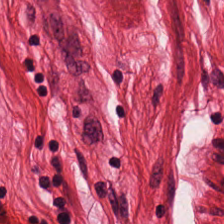H&E · 0.5 µm/px · brightfield — Smooth-muscle tissue.
